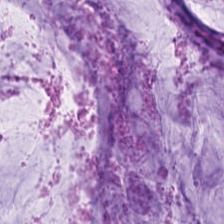{"tissue_type": "mucin"}
